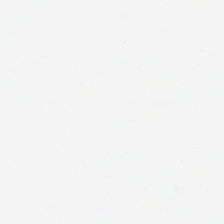H&E. Field content — background.
